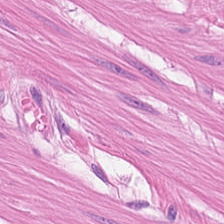Q: What tissue type is shown here?
A: Smooth muscle.
